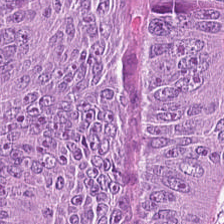H&E — The classification is adenocarcinoma.
